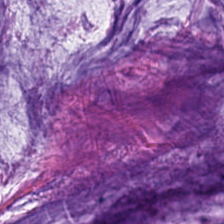0.5 µm per pixel; hematoxylin and eosin. The predominant tissue is mucin.
